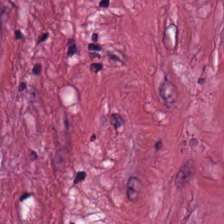H&E stain — Tissue class — cancer-associated stroma.
